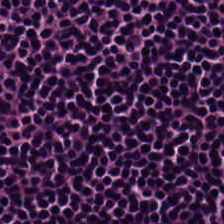FFPE · H&E stain.
This patch shows lymphocytic infiltrate.
